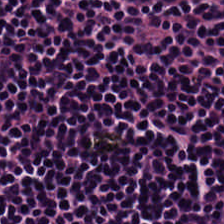H&E stain — Predominantly lymphocyte aggregate.
